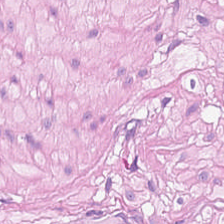H&E-stained tissue section showing muscularis.
